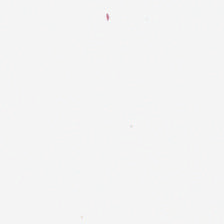0.5 microns per pixel; hematoxylin-and-eosin stained section.
Content — background (no tissue).
